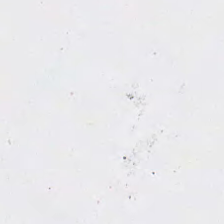Whole-slide-image patch · H&E — Finding → background (no tissue).
